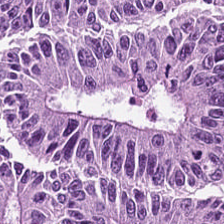Hematoxylin and eosin. Malignant epithelium.
